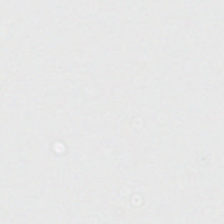No tissue present; background only.
